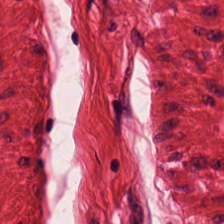H&E stain; 224×224 px patch; brightfield microscopy — Classification: smooth muscle.
